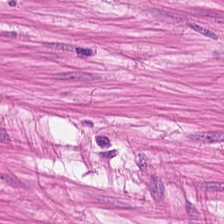0.5 microns per pixel; H&E stain; brightfield microscopy.
Q: Identify the tissue.
A: This is smooth muscle.
